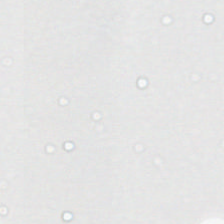Content = empty background.
